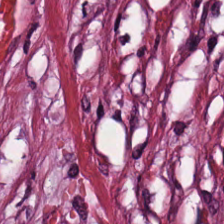Hematoxylin and eosin.
Tissue type = desmoplastic stroma.
